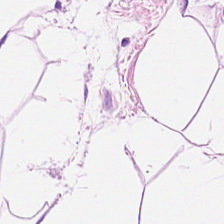Brightfield microscopy · H&E stain — Adipocytes.
